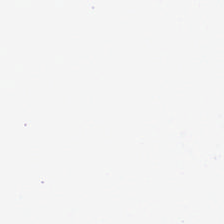Stain: H&E-stained tissue section.
Classification: no tissue.
